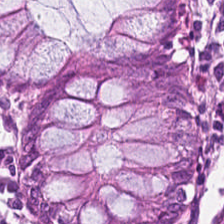FFPE. H&E-stained tissue section. Normal colonic mucosa.
